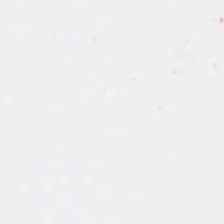0.5 µm/px. 224×224 pixel tile. Hematoxylin-and-eosin stained section — Q: What is shown here?
A: This is background.
